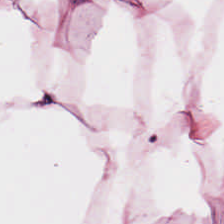Hematoxylin-and-eosin stained section — {"tissue_type": "adipose tissue"}
